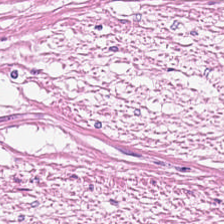Hematoxylin and eosin. 224×224 px tile — Q: What type of tissue is this?
A: Muscularis.
